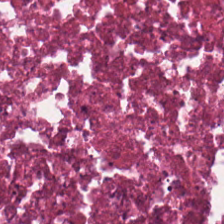FFPE tissue section · hematoxylin-and-eosin stained section — Q: What is shown here?
A: The field shows cellular debris.
